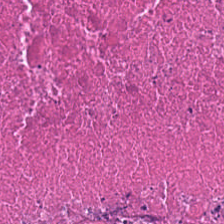0.5 µm/px; H&E-stained tissue section — Predominantly debris.
